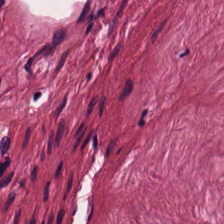H&E-stained tissue section.
Predominantly tumor stroma.
